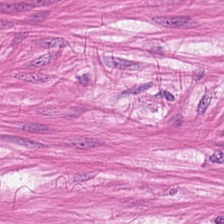H&E-stained tissue section. The predominant tissue is smooth muscle.
